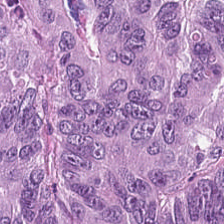Formalin-fixed paraffin-embedded section; hematoxylin-and-eosin stained section — Q: Identify the tissue.
A: It is malignant epithelium.
